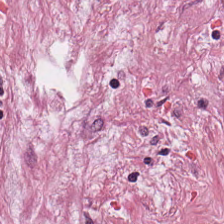H&E-stained tissue section — Predominant tissue — tumor-associated stroma.
